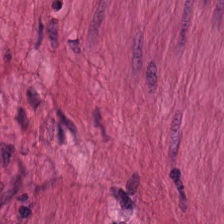H&E stain — Q: Identify the tissue.
A: Smooth-muscle tissue.
